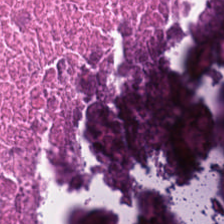0.5 µm per pixel · H&E stain — Classification: cellular debris.
